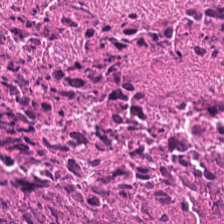H&E · 0.5 microns per pixel · whole-slide-image patch.
Q: What is shown in this field?
A: This is debris.
